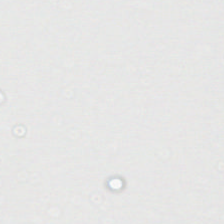Stain: H&E.
Resolution: 0.5 µm/px.
Field content: no tissue.
